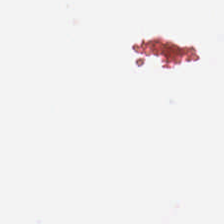Hematoxylin-and-eosin stained section — No tissue present; background only.
